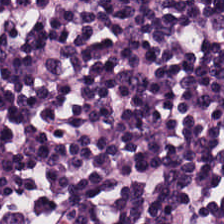Hematoxylin and eosin.
The predominant tissue is lymphoid infiltrate.
